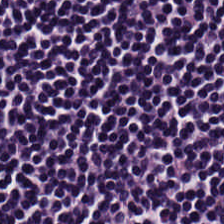FFPE; 224×224 pixel tile; hematoxylin and eosin. The predominant tissue is lymphocytic infiltrate.
